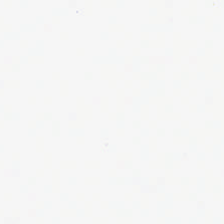WSI patch · 0.5 microns per pixel · H&E.
No tissue present; background only.
